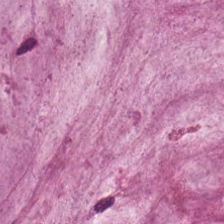Impression — mucus.
